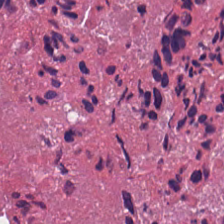H&E-stained tissue section — Q: What is the predominant tissue type?
A: It is cellular debris.
